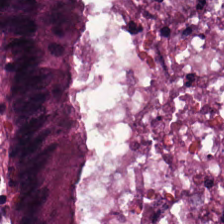Stain: hematoxylin-and-eosin stained section.
Tissue class: colorectal adenocarcinoma epithelium.
